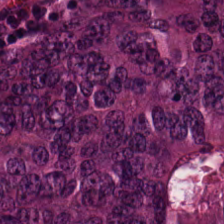Stain: H&E stain.
Classification: tumor epithelium.
